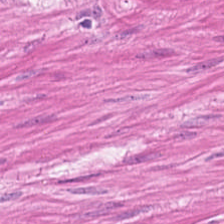Hematoxylin-and-eosin stained section — The classification is smooth muscle.
